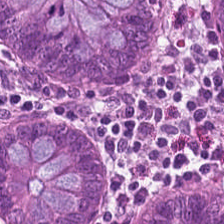H&E. WSI patch. Q: What is shown here?
A: Non-neoplastic colon mucosa.
